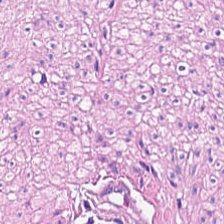Hematoxylin-and-eosin stained section; 0.5 µm/px; formalin-fixed paraffin-embedded section. Q: Classify this patch.
A: It is muscularis.
